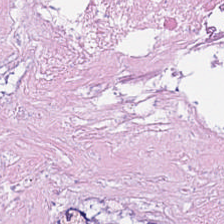H&E-stained tissue section. This patch shows cellular debris.
